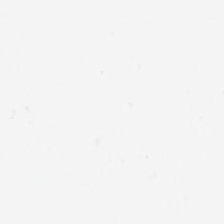H&E-stained tissue section. No tissue present; background only.
